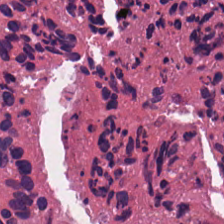Hematoxylin-and-eosin stained section. Showing debris.
